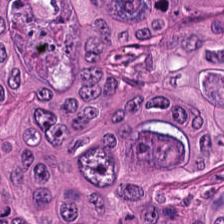Classification = malignant epithelium.
